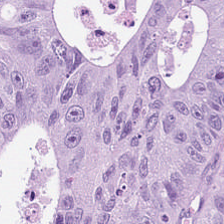224×224 pixel tile; H&E; 0.5 µm/px — Finding → adenocarcinoma.
